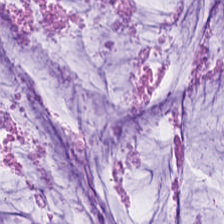Brightfield · FFPE tissue section · H&E — This field is mucus.
